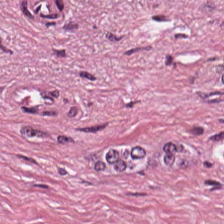0.5 microns per pixel. Hematoxylin-and-eosin stained section. Formalin-fixed paraffin-embedded section — {"tissue_type": "desmoplastic stroma"}
